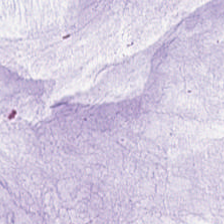Stain: hematoxylin-and-eosin stained section.
Tissue: mucin.
